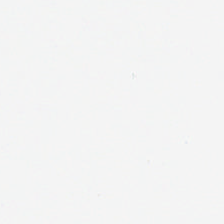The field content is empty background.
